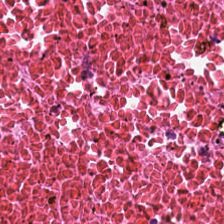H&E-stained tissue section; whole-slide-image patch; 224×224 px patch — This patch shows cellular debris.
